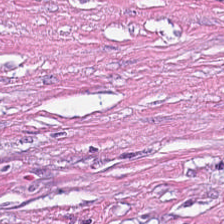0.5 µm/px. H&E-stained tissue section — Impression — cancer-associated stroma.
